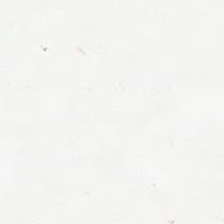The content is background (no tissue).
